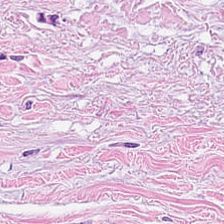224×224 pixel tile; brightfield; hematoxylin and eosin — Impression → tumor stroma.
